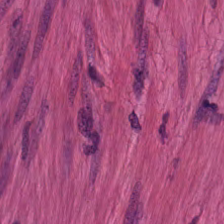H&E; 224×224 px patch; 0.5 µm per pixel. Tissue — muscularis.
